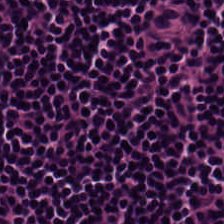Formalin-fixed paraffin-embedded section; H&E-stained tissue section.
This field is lymphocytes.
